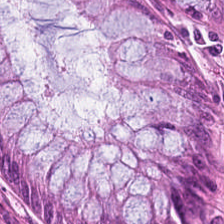H&E — This field is normal colon mucosa.
